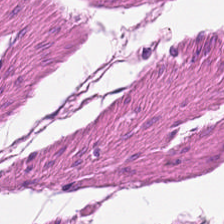Stain: hematoxylin and eosin.
Tissue: smooth-muscle tissue.
